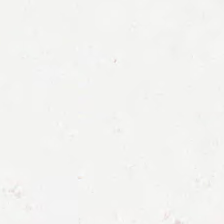H&E stain. Background — no tissue in this field.
